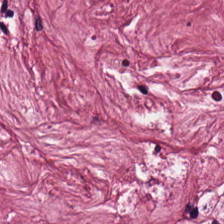Hematoxylin-and-eosin stained section — Q: Classify this patch.
A: It is desmoplastic stroma.
